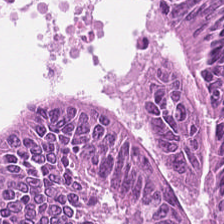Q: What is shown in this field?
A: It is adenocarcinoma.
